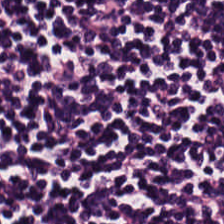WSI patch. H&E. 0.5 microns per pixel — Impression → lymphocytic infiltrate.
